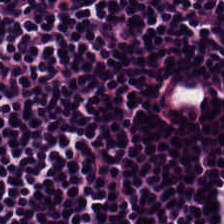H&E patch showing lymphoid infiltrate.
